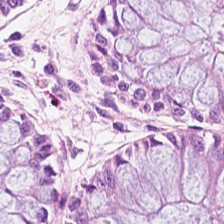H&E stain. 224×224 px tile — The tissue here is non-neoplastic colon mucosa.
